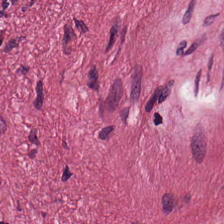H&E.
Predominant tissue = cancer-associated stroma.
